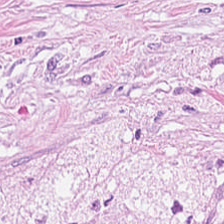H&E-stained tissue section; WSI patch; FFPE — The classification is desmoplastic stroma.
